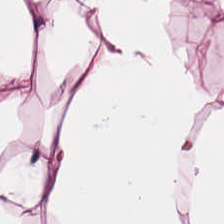0.5 µm/px. H&E.
Q: What is shown in this field?
A: This is adipocytes.
